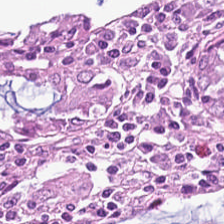Tissue type = normal colonic mucosa.
